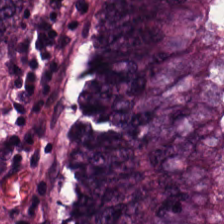H&E · 224×224 px patch. Predominantly colorectal adenocarcinoma.
